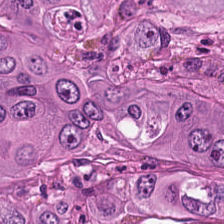Hematoxylin and eosin; 224×224 px tile — Colorectal adenocarcinoma.
